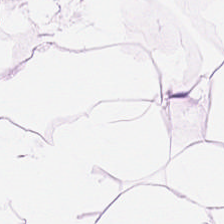Impression — adipocytes.
